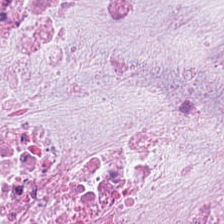Finding — extracellular mucin.
